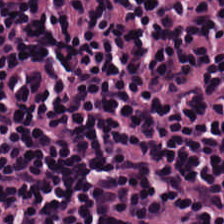H&E-stained tissue section — Q: What tissue is shown?
A: The field shows lymphocytes.
